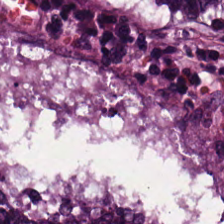Classification — colorectal adenocarcinoma.
